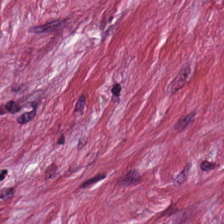Formalin-fixed paraffin-embedded section · whole-slide-image patch · H&E. Impression — tumor-associated stroma.
